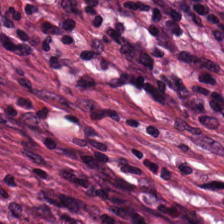Hematoxylin-and-eosin stained section.
The tissue is cancer-associated stroma.
